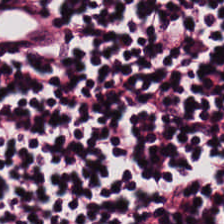Stain: H&E-stained tissue section.
Resolution: 0.5 µm/px.
Acquisition: WSI patch.
Predominant tissue: lymphocytes.
